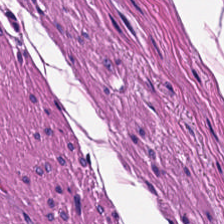H&E stain · FFPE tissue section. Q: Identify the tissue.
A: It is smooth muscle.
